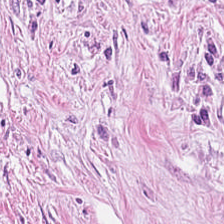Stain: hematoxylin and eosin.
Tissue: tumor stroma.
